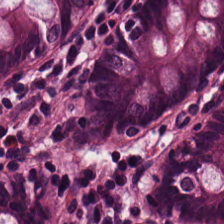H&E-stained tissue section; WSI patch; 224×224 px tile.
Predominant tissue: benign colonic mucosa.
